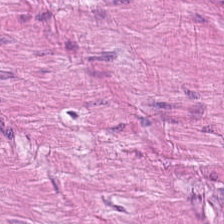Hematoxylin-and-eosin stained section — Showing smooth muscle.
